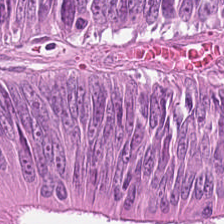{"tissue_type": "colorectal adenocarcinoma"}
